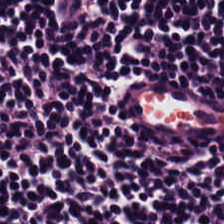FFPE. Hematoxylin-and-eosin stained section. Tissue — lymphocyte aggregate.
